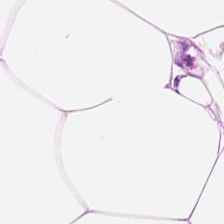Hematoxylin and eosin. Q: What type of tissue is this?
A: Fat tissue.
